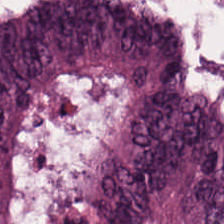0.5 µm/px; 224×224 px patch; H&E — Q: What type of tissue is this?
A: It is tumor epithelium.
